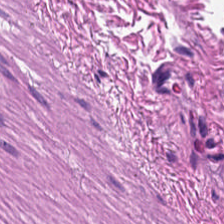Stain: H&E.
Resolution: 20× equivalent magnification.
Acquisition: brightfield.
Predominant tissue: smooth muscle.
